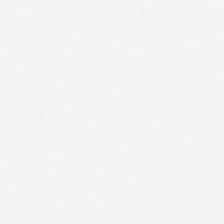Hematoxylin-and-eosin stained section — No tissue present; background only.
